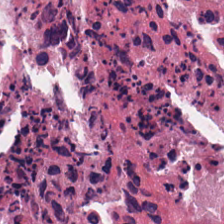Hematoxylin-and-eosin section: necrotic debris.
